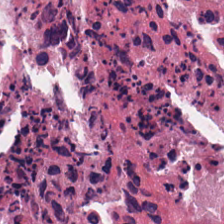Hematoxylin-and-eosin section: necrotic debris.
